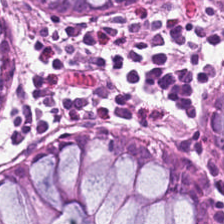Stain: H&E-stained tissue section.
Resolution: 20× equivalent magnification.
Predominant tissue: benign colonic mucosa.
